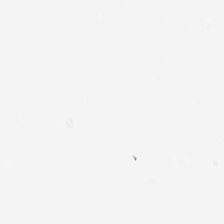H&E-stained tissue section.
This patch shows background.
